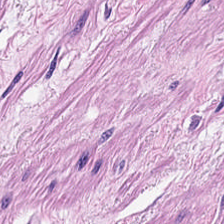H&E-stained tissue section. Showing smooth-muscle tissue.
